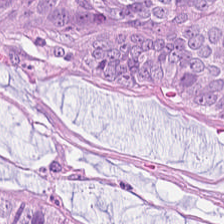H&E-stained tissue section.
Q: Identify the tissue.
A: It is adenocarcinoma.
